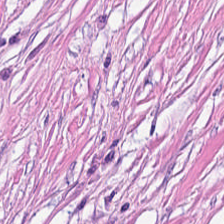H&E stain.
The predominant tissue is desmoplastic stroma.
